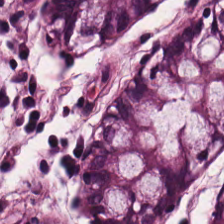Predominant tissue: normal colonic mucosa.
